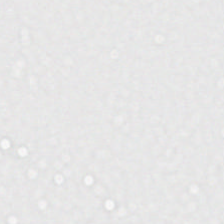H&E — Field content: background.
